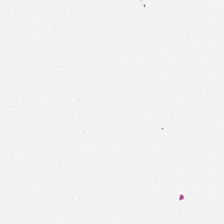224×224 pixel tile. Hematoxylin and eosin. FFPE — Field content — no tissue.
